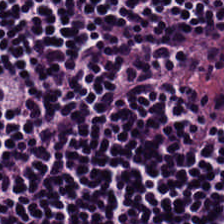H&E · brightfield. This patch shows lymphocytic infiltrate.
